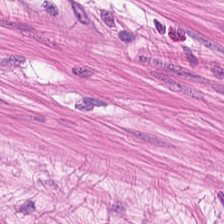0.5 microns per pixel. Hematoxylin-and-eosin stained section.
Q: Identify the tissue.
A: The field shows smooth-muscle tissue.
